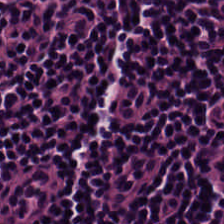Classification = lymphoid infiltrate.
